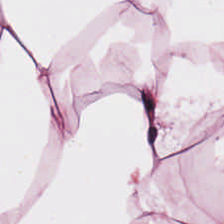FFPE. Hematoxylin-and-eosin stained section — Predominant tissue — adipocytes.
